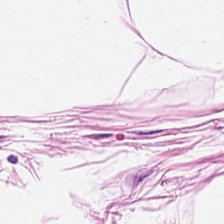Hematoxylin and eosin; brightfield.
Finding — adipocytes.
